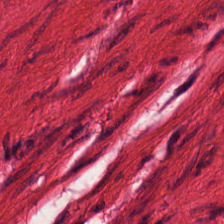The tissue is smooth muscle.
